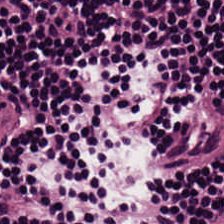H&E-stained tissue section.
{"tissue_type": "lymphocyte aggregate"}
